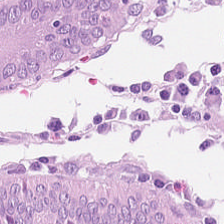H&E-stained tissue section. Formalin-fixed paraffin-embedded section.
Predominantly normal colon mucosa.
